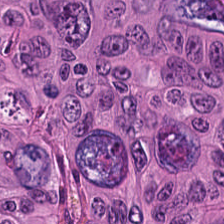Tissue class: adenocarcinoma.
